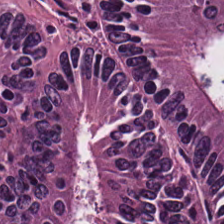Hematoxylin-and-eosin stained section — Tissue class: malignant epithelium.
